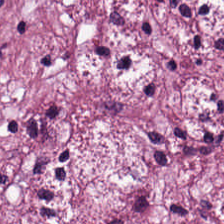Classification = tumor-associated stroma.
